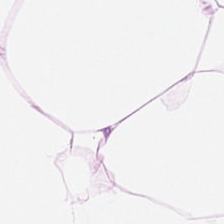Hematoxylin and eosin. 224×224 px patch. Tissue = adipose.
